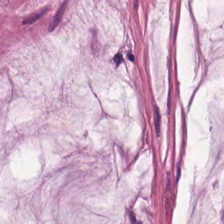Histology → extracellular mucin.
